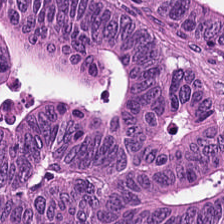The classification is adenocarcinoma.
